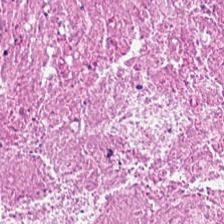Stain: hematoxylin-and-eosin stained section.
Preparation: FFPE tissue section.
Tissue class: debris.
